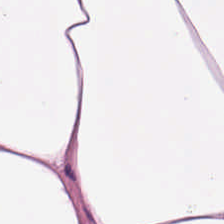Hematoxylin and eosin · 0.5 µm/px · WSI patch. This field is adipose tissue.
